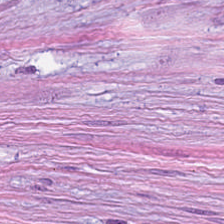The predominant tissue is desmoplastic stroma.
